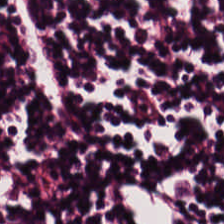224×224 px tile. Hematoxylin and eosin. 0.5 microns per pixel. {"tissue_type": "lymphocyte aggregate"}
